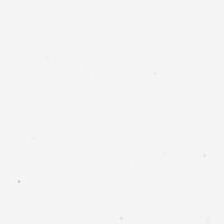Formalin-fixed paraffin-embedded section · H&E-stained tissue section.
The field content is empty background.
